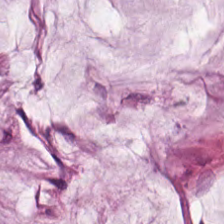H&E-stained tissue section. 20× equivalent magnification. FFPE tissue section. Finding → extracellular mucin.
